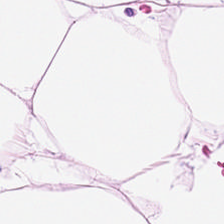Tissue = adipose tissue.
